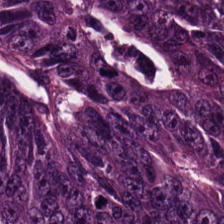H&E-stained tissue section · 224×224 px tile. This patch shows colorectal adenocarcinoma.
